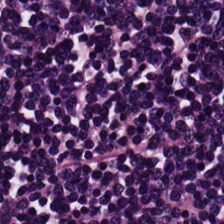Hematoxylin-and-eosin stained section. Classification: lymphocytic infiltrate.
